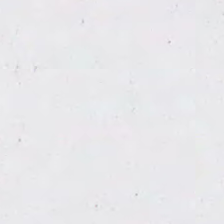Brightfield microscopy · FFPE tissue section · hematoxylin-and-eosin stained section — Empty field — no tissue.
